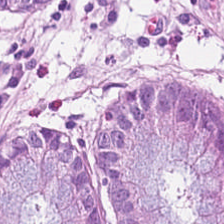H&E. Brightfield. Q: What is shown here?
A: Benign colonic mucosa.
